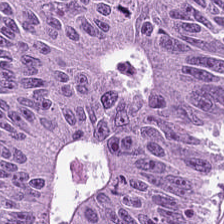Brightfield · H&E-stained tissue section · 0.5 microns per pixel.
Impression → tumor epithelium.
